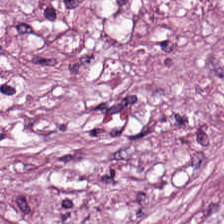Formalin-fixed paraffin-embedded section · hematoxylin and eosin.
Tissue class — desmoplastic stroma.
